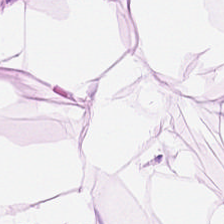H&E stain.
Fat tissue.
